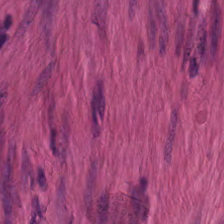Classification = muscularis.
